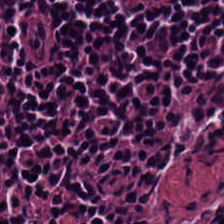Predominant tissue: lymphocyte aggregate.
